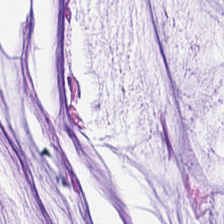Stain: hematoxylin and eosin.
Predominant tissue: mucus.
